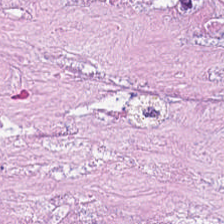Hematoxylin and eosin. Q: What does this patch show?
A: This is necrotic debris.
